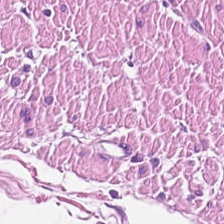Whole-slide-image patch · 224×224 px patch · hematoxylin and eosin.
Showing muscularis.
